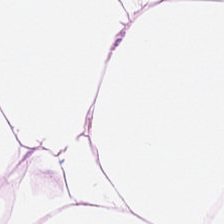Hematoxylin-and-eosin stained section. FFPE tissue section. Brightfield microscopy. Adipose.
